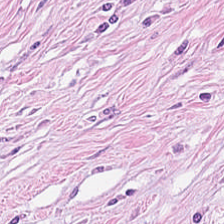Hematoxylin and eosin.
{"tissue_type": "cancer-associated stroma"}
